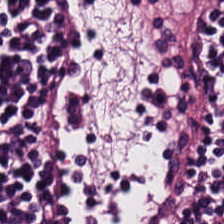FFPE. H&E-stained tissue section. Q: What does this patch show?
A: It is lymphocytic infiltrate.
